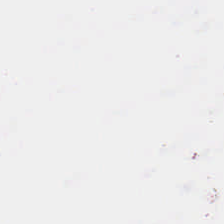H&E-stained tissue section — Q: What does this patch show?
A: The field shows empty background.
